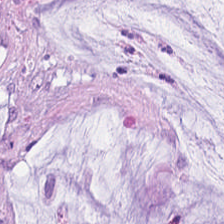H&E — The predominant tissue is mucin.
